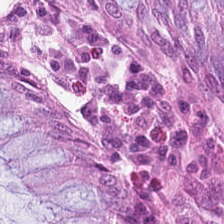H&E-stained tissue section.
Q: What tissue is shown?
A: The field shows normal colon mucosa.
